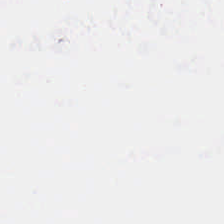FFPE; hematoxylin and eosin.
Impression → empty background.
